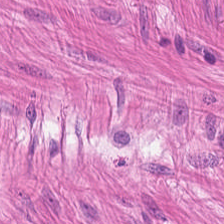Impression → smooth-muscle tissue.
